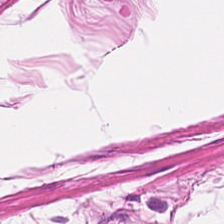H&E stain · 224×224 px tile — Q: What does this patch show?
A: The field shows smooth-muscle tissue.
